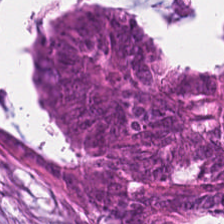FFPE tissue section; H&E-stained tissue section — Q: What does this patch show?
A: Colorectal adenocarcinoma.
